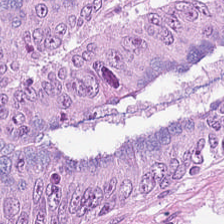Stain: hematoxylin and eosin.
Tile size: 224×224 pixel tile.
Classification: malignant epithelium.
